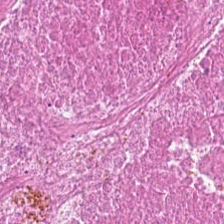Hematoxylin-and-eosin stained section. 20× equivalent magnification.
The tissue here is necrotic debris.
